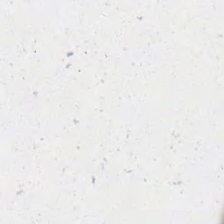Formalin-fixed paraffin-embedded section · hematoxylin-and-eosin stained section — Q: What is shown here?
A: This is empty background.
